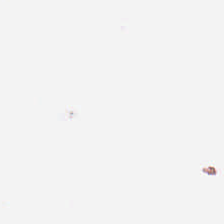H&E; brightfield microscopy. Content = background.
